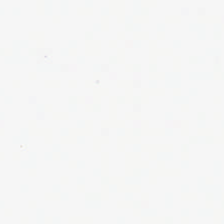20× equivalent magnification · hematoxylin and eosin · formalin-fixed paraffin-embedded section.
This patch shows no tissue.
